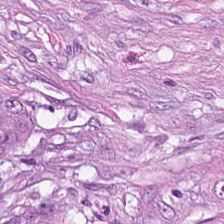Hematoxylin-and-eosin stained section. Tissue class: tumor stroma.
